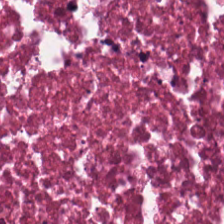Stain: H&E-stained tissue section.
Tissue class: cellular debris.
